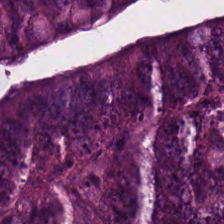H&E-stained tissue section · 0.5 µm/px — This patch shows malignant epithelium.
